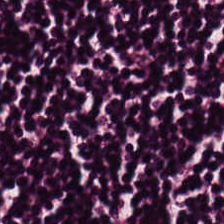Whole-slide-image patch. H&E.
Lymphocyte aggregate.
